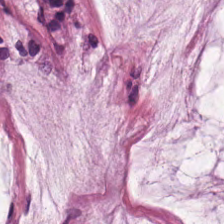Impression → extracellular mucin.
